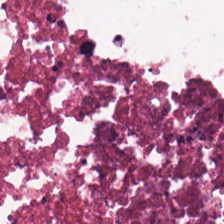0.5 µm/px. Hematoxylin and eosin. Brightfield — Histology → cellular debris.
